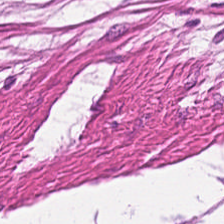The tissue here is smooth muscle.
